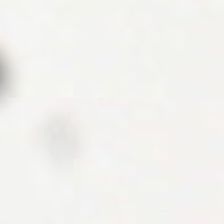H&E.
The classification is empty background.
